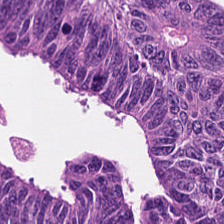The tissue class is tumor epithelium.
